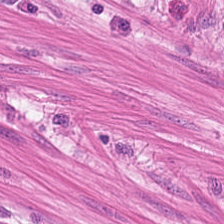Hematoxylin and eosin. WSI patch. The tissue here is muscularis.
